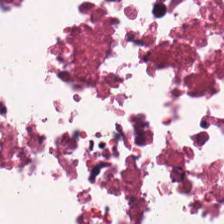H&E-stained tissue section — Histology → cellular debris.
